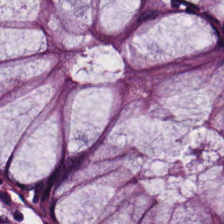H&E stain. Tissue — normal colon mucosa.
